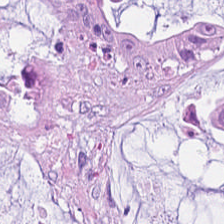Finding — extracellular mucin.
